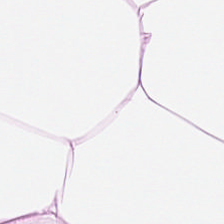Stain: H&E.
Classification: fat tissue.
